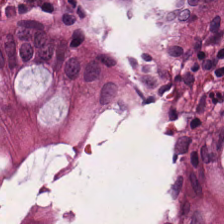Tissue: non-neoplastic colon mucosa.
